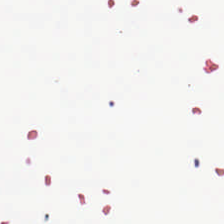Q: What is shown here?
A: It is background (no tissue).
